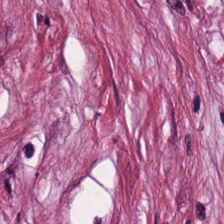Finding → tumor-associated stroma.
